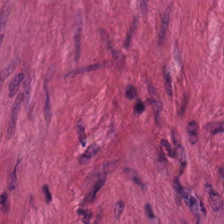Q: What is shown in this field?
A: The field shows smooth muscle.
